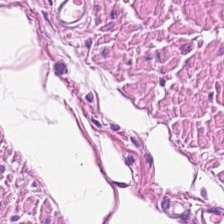0.5 microns per pixel · hematoxylin and eosin.
Tissue = smooth-muscle tissue.
